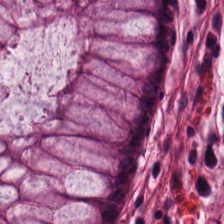Hematoxylin and eosin — This patch shows normal colonic mucosa.
